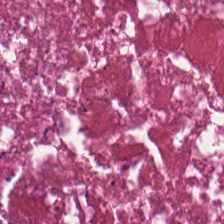224×224 px patch; hematoxylin-and-eosin stained section; WSI patch — Q: Classify this patch.
A: The field shows debris.
